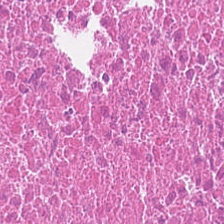H&E; 224×224 pixel tile.
Tissue: necrotic debris.
